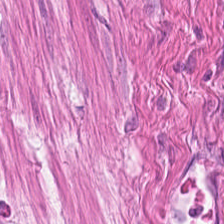H&E stain · 20× equivalent magnification · FFPE. Q: What is shown here?
A: It is smooth-muscle tissue.
